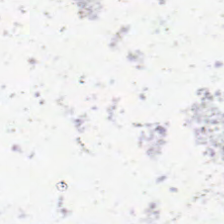0.5 µm per pixel · H&E. This field is background (no tissue).
